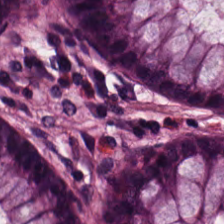Stain: H&E.
Preparation: FFPE.
Classification: non-neoplastic colon mucosa.
